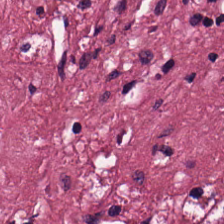Stain: H&E stain.
Classification: cancer-associated stroma.
